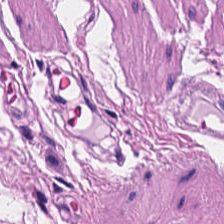H&E stain. The tissue here is muscularis.
